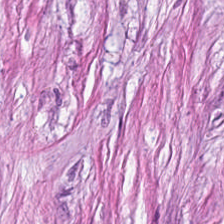Hematoxylin and eosin.
Showing desmoplastic stroma.
